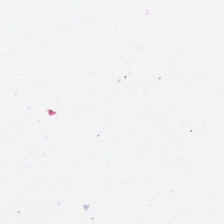Q: What is shown in this field?
A: The field shows background.
